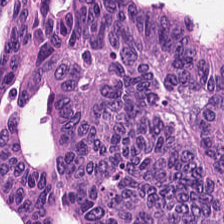The predominant tissue is tumor epithelium.
